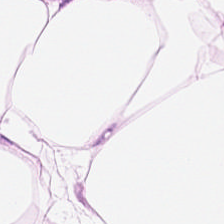Hematoxylin-and-eosin stained section — Q: What type of tissue is this?
A: Adipose tissue.
